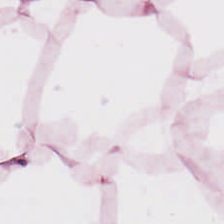H&E · 224×224 px patch · 20× equivalent magnification.
Histology → adipose.
